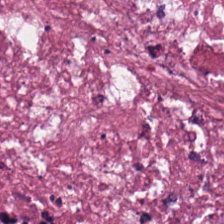Hematoxylin-and-eosin stained section.
Q: What type of tissue is this?
A: Necrotic debris.
